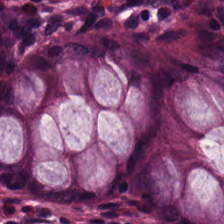Hematoxylin and eosin; FFPE; 0.5 µm per pixel — Histology — non-neoplastic colon mucosa.
